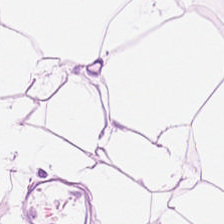H&E. {"tissue_type": "adipocytes"}
